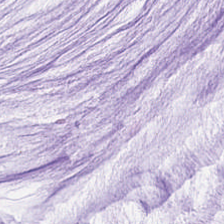Q: Classify this patch.
A: It is extracellular mucin.
